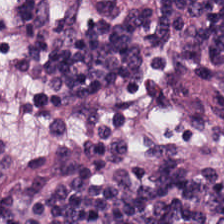H&E-stained tissue section — Showing lymphoid infiltrate.
